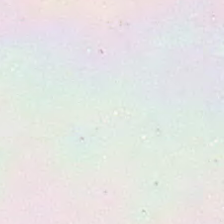Stain: H&E-stained tissue section.
Resolution: 0.5 microns per pixel.
Classification: background.
